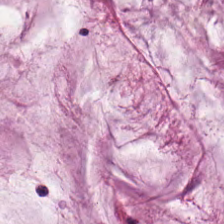H&E-stained tissue section; 0.5 µm/px; 224×224 px patch — {"tissue_type": "mucus"}
